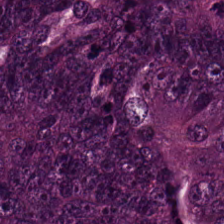0.5 microns per pixel; H&E. Predominantly colorectal adenocarcinoma epithelium.
